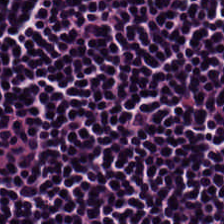Tissue class: lymphocytes.
